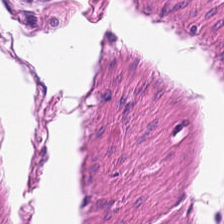Stain: hematoxylin and eosin.
Predominant tissue: smooth muscle.
